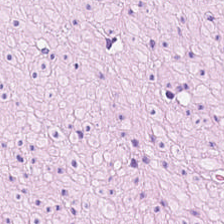Stain: H&E stain.
Preparation: formalin-fixed paraffin-embedded section.
Classification: smooth-muscle tissue.
